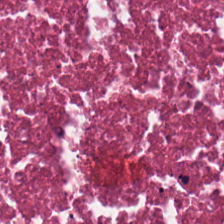H&E-stained tissue section showing necrotic debris.
